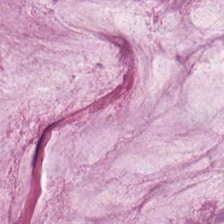H&E-stained tissue section showing mucin.
